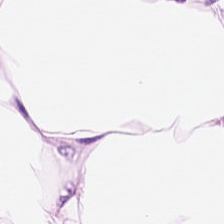H&E. This patch shows fat tissue.
